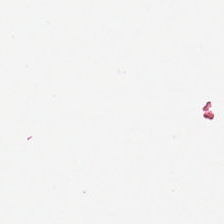Hematoxylin-and-eosin stained section. No tissue present; background only.
